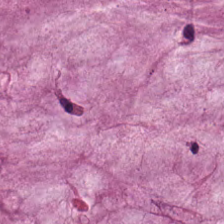FFPE · hematoxylin and eosin · brightfield microscopy. Tissue class: mucus.
